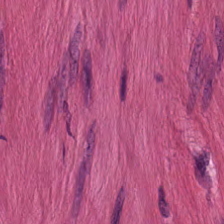Stain: H&E-stained tissue section.
Tile size: 224×224 pixel tile.
Acquisition: brightfield microscopy.
Classification: smooth-muscle tissue.
